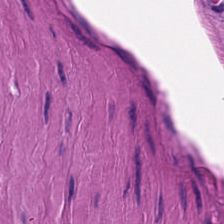Q: Identify the tissue.
A: It is muscularis.
